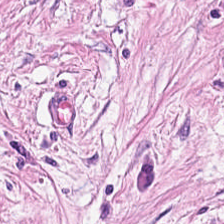Histology — tumor stroma.
